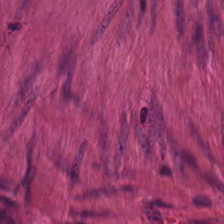Hematoxylin-and-eosin stained section. 224×224 px patch. Brightfield.
Q: What tissue is shown?
A: Smooth-muscle tissue.
